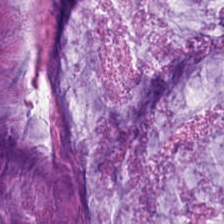Finding → mucus.
